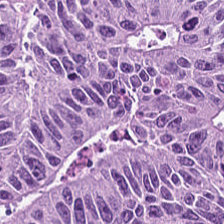Histology → colorectal adenocarcinoma.
